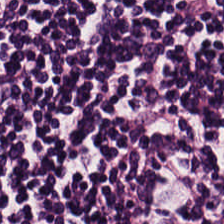0.5 µm per pixel · H&E-stained tissue section.
Finding — lymphocytic infiltrate.
